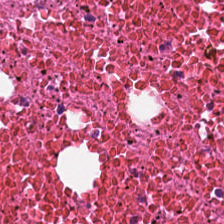H&E stain. 0.5 microns per pixel — Tissue class = cellular debris.
